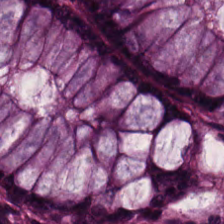224×224 pixel tile; hematoxylin-and-eosin stained section.
The predominant tissue is non-neoplastic colon mucosa.
